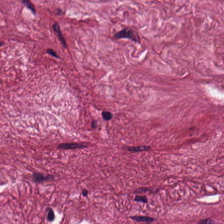H&E-stained tissue section · 20× equivalent magnification · 224×224 px tile — Finding — tumor-associated stroma.
